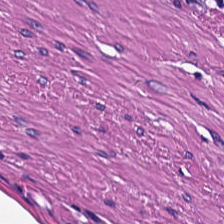Hematoxylin-and-eosin stained section — Tissue type — smooth-muscle tissue.
